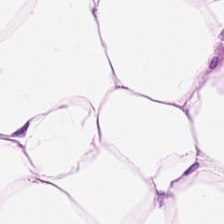Whole-slide-image patch; 224×224 px patch; H&E — Q: What is shown here?
A: Adipose tissue.
